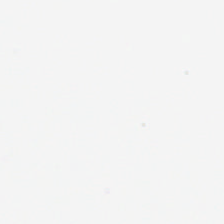Brightfield. Hematoxylin and eosin. Formalin-fixed paraffin-embedded section.
Background — no tissue in this field.
